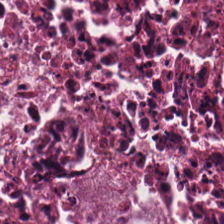H&E; FFPE tissue section. The predominant tissue is necrotic debris.
